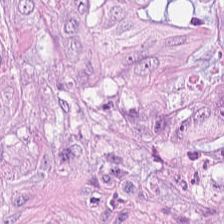Stain: H&E stain.
Acquisition: brightfield.
Preparation: formalin-fixed paraffin-embedded section.
Predominant tissue: colorectal adenocarcinoma.
